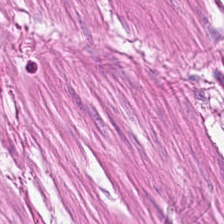Tissue class: muscularis.
